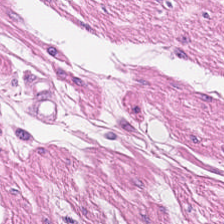Histology → smooth-muscle tissue.
